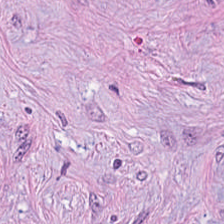Showing tumor-associated stroma.
